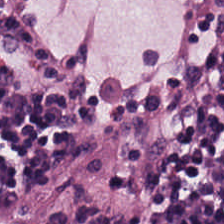Stain: H&E stain.
Tissue class: lymphoid infiltrate.
